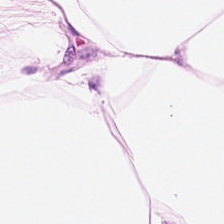Predominant tissue: adipose tissue.
